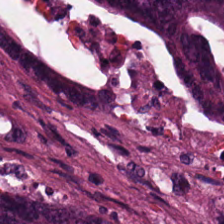Whole-slide-image patch · H&E stain — Showing tumor epithelium.
